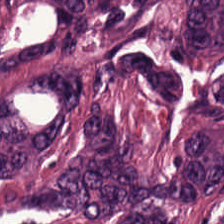Hematoxylin and eosin.
Showing colorectal adenocarcinoma.
